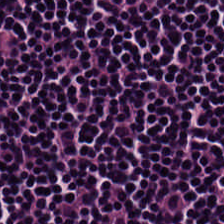224×224 px tile; H&E-stained tissue section — Q: What tissue is shown?
A: It is lymphocytic infiltrate.
